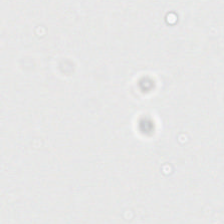No tissue.
